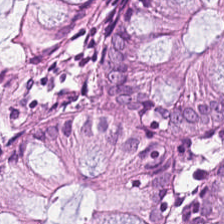H&E. 0.5 microns per pixel — Predominantly normal colonic mucosa.
